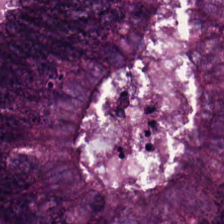Stain: hematoxylin and eosin.
Resolution: 0.5 µm/px.
Tissue type: colorectal adenocarcinoma.
